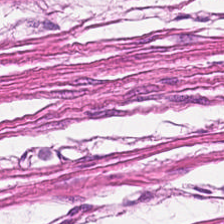Q: What does this patch show?
A: The field shows smooth muscle.
